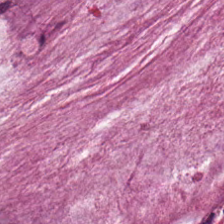H&E-stained tissue section — Tissue = mucin.
